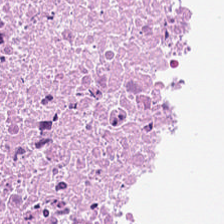H&E stain.
Debris.
